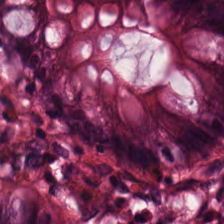FFPE tissue section · H&E stain. Non-neoplastic colon mucosa.
